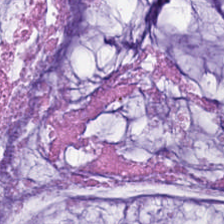H&E. Histology — extracellular mucin.
